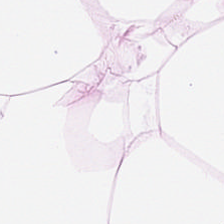Hematoxylin-and-eosin stained section.
Showing adipose tissue.
